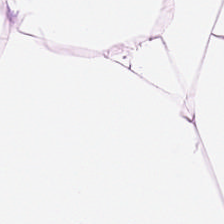H&E stain.
Fat tissue.
